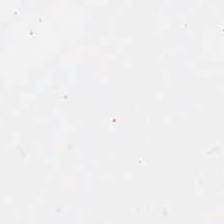H&E stain · brightfield · 224×224 pixel tile.
Q: What does this patch show?
A: It is empty background.
